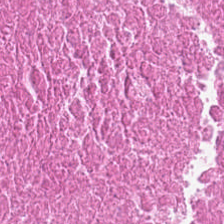Hematoxylin-and-eosin stained section. 0.5 µm/px — Predominant tissue — debris.
